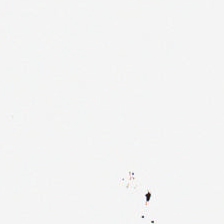Classification — background.
